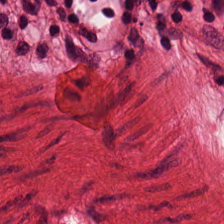Hematoxylin-and-eosin section: smooth muscle.
